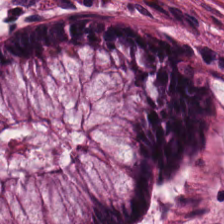Hematoxylin-and-eosin stained section · 224×224 pixel tile — Tissue = non-neoplastic colon mucosa.
